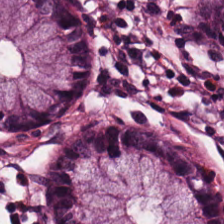0.5 µm/px · hematoxylin-and-eosin stained section — Impression → benign colonic mucosa.
